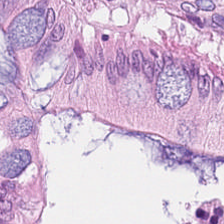Hematoxylin-and-eosin stained section. Histology — benign colonic mucosa.
